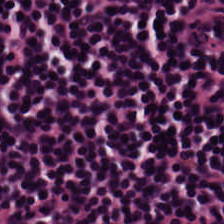Hematoxylin and eosin. WSI patch — The tissue here is lymphocyte aggregate.
